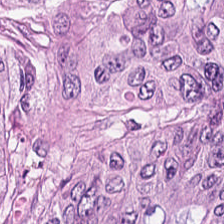This field is tumor epithelium.
